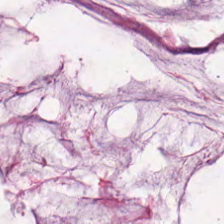H&E.
Classification = extracellular mucin.
